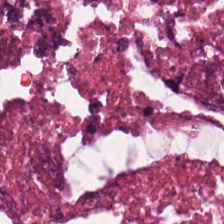Hematoxylin-and-eosin stained section.
The predominant tissue is necrotic debris.
